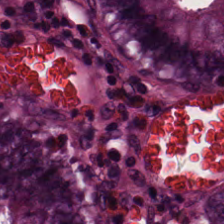Stain: hematoxylin and eosin.
Predominant tissue: benign colonic mucosa.
